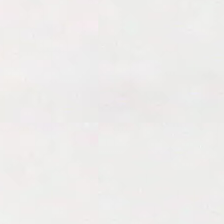Q: What is shown here?
A: The field shows background (no tissue).
